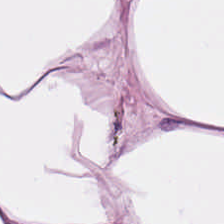H&E stain — Tissue type = adipose tissue.
